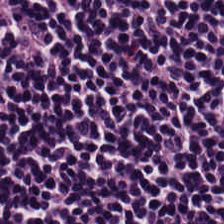Whole-slide-image patch · H&E — Finding — lymphocytes.
